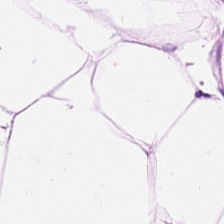Stain: hematoxylin and eosin.
Tissue type: adipocytes.
